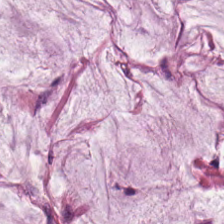Tissue = extracellular mucin.
